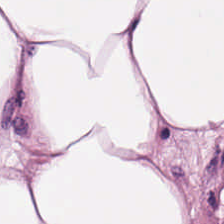Hematoxylin-and-eosin stained section — The tissue here is adipocytes.
